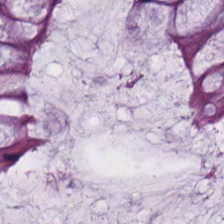Hematoxylin and eosin.
The tissue here is benign colonic mucosa.
